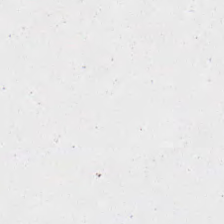Hematoxylin-and-eosin stained section.
Q: What does this patch show?
A: No tissue.
